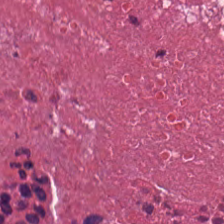Hematoxylin and eosin. Tissue class: debris.
